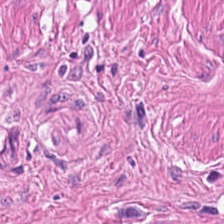0.5 microns per pixel · H&E-stained tissue section. This field is smooth muscle.
